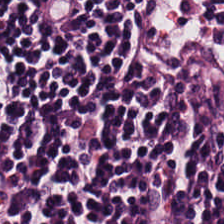H&E-stained tissue section. Q: What is shown here?
A: The field shows lymphocytic infiltrate.
